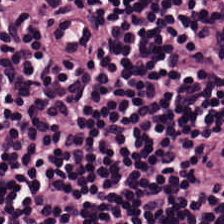Hematoxylin-and-eosin stained section — This field is lymphocytes.
